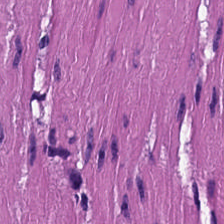H&E-stained tissue section.
Q: What is shown in this field?
A: The field shows muscularis.
